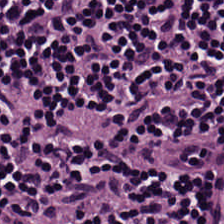Hematoxylin and eosin · 224×224 pixel tile.
Predominantly lymphocyte aggregate.
